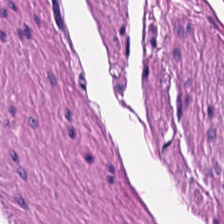Impression — muscularis.
